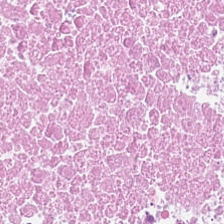H&E — The predominant tissue is necrotic debris.
